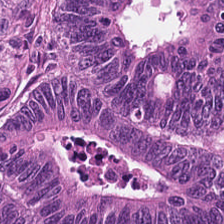Stain: hematoxylin and eosin.
Tissue class: colorectal adenocarcinoma epithelium.
